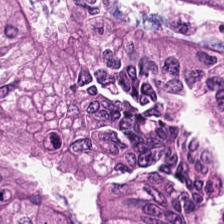Hematoxylin and eosin. {"tissue_type": "colorectal adenocarcinoma"}
